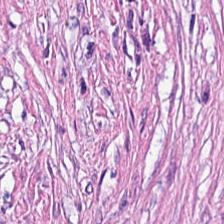FFPE tissue section. 0.5 microns per pixel. H&E stain.
Impression → tumor-associated stroma.
